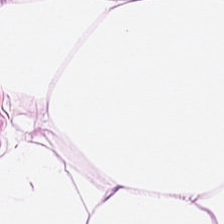Q: What tissue type is shown here?
A: It is fat tissue.
